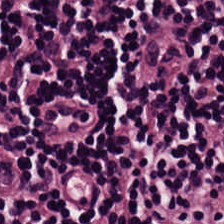Predominant tissue: lymphocytic infiltrate.
